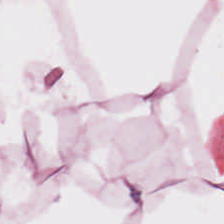Hematoxylin-and-eosin section: adipose.
